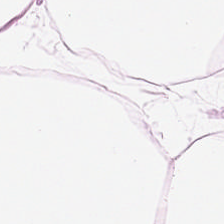Hematoxylin-and-eosin stained section — Adipose tissue.
